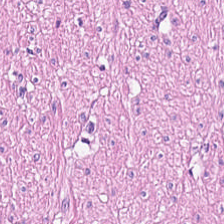H&E.
Q: What is shown in this field?
A: Smooth muscle.
